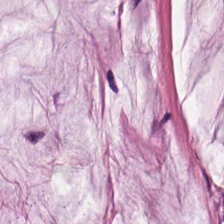0.5 µm/px; H&E-stained tissue section — Tissue type = mucus.
